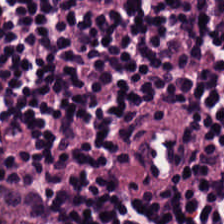H&E; 224×224 pixel tile. Finding → lymphoid infiltrate.
